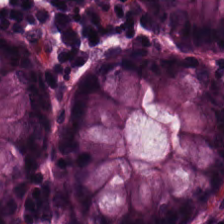H&E. Q: What type of tissue is this?
A: Normal colon mucosa.
